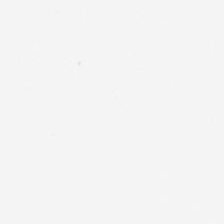H&E-stained tissue section.
This field is background (no tissue).
